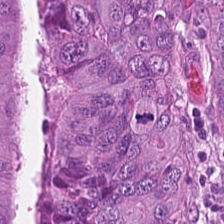Hematoxylin and eosin — Q: What tissue is shown?
A: Colorectal adenocarcinoma.
